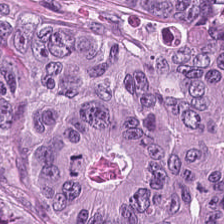{"tissue_type": "colorectal adenocarcinoma epithelium"}
